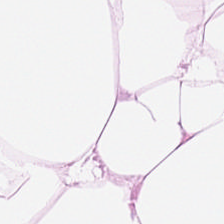Hematoxylin and eosin · FFPE tissue section · 224×224 px patch. Predominantly fat tissue.
